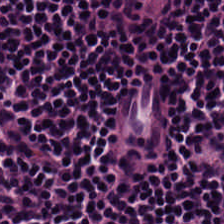Stain: H&E stain.
Tissue type: lymphocytic infiltrate.
